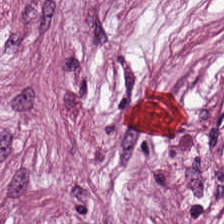Hematoxylin-and-eosin stained section — The tissue here is cancer-associated stroma.
